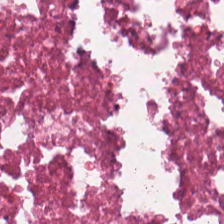Q: Classify this patch.
A: The field shows cellular debris.
